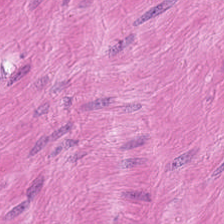Stain: H&E-stained tissue section.
Resolution: 0.5 µm/px.
Tissue: muscularis.
